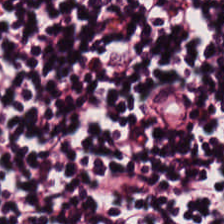224×224 px patch. 20× equivalent magnification. Hematoxylin and eosin. Tissue = lymphoid infiltrate.
